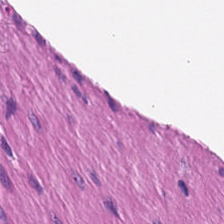H&E stain; 224×224 px tile — Classification — smooth muscle.
